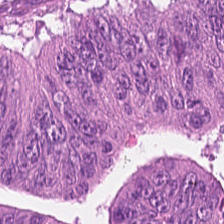Hematoxylin and eosin.
Showing malignant epithelium.
